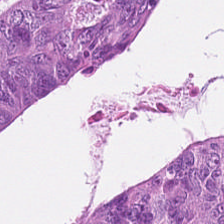Hematoxylin and eosin. Tissue class: adenocarcinoma.
